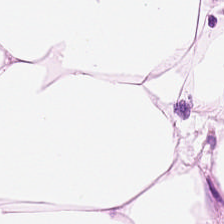Hematoxylin-and-eosin stained section.
Showing adipose tissue.
